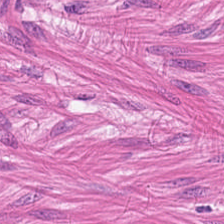Finding → muscularis.
